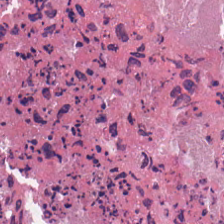Classification — cellular debris.
